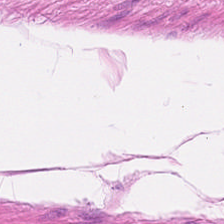224×224 pixel tile. H&E-stained tissue section. Formalin-fixed paraffin-embedded section.
Predominant tissue — smooth muscle.
